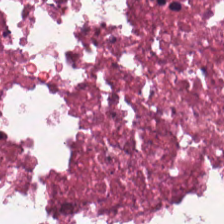Q: What tissue type is shown here?
A: Necrotic debris.
